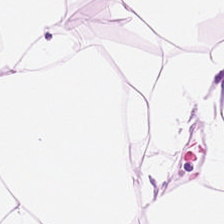H&E. Predominant tissue — fat tissue.
